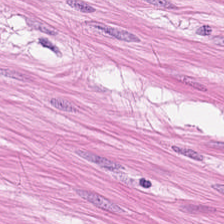Classification = smooth-muscle tissue.
